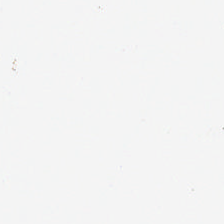Hematoxylin-and-eosin stained section — Q: What is shown in this field?
A: It is empty background.
